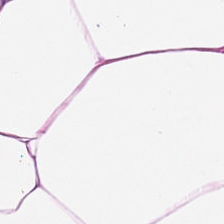Hematoxylin-and-eosin stained section.
Q: What is shown here?
A: Fat tissue.
